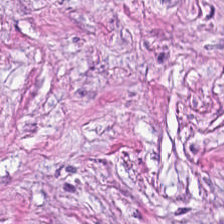Showing cancer-associated stroma.
